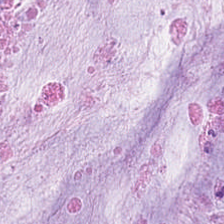Hematoxylin-and-eosin stained section — Q: What tissue is shown?
A: It is mucin.
